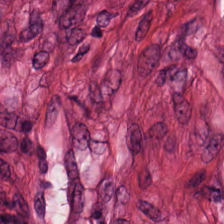Stain: hematoxylin and eosin.
Tissue class: cancer-associated stroma.
